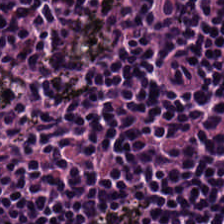H&E patch showing lymphocytic infiltrate.
